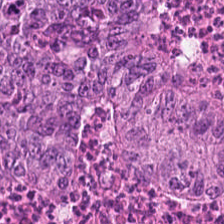H&E-stained tissue section.
Tissue — colorectal adenocarcinoma.
